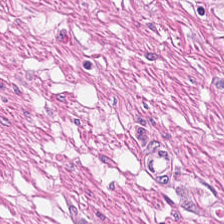H&E-stained tissue section — The tissue class is muscularis.
